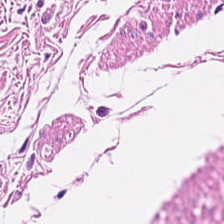{"tissue_type": "smooth muscle"}
